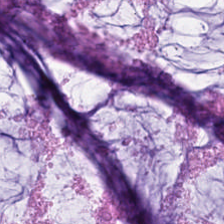Brightfield microscopy. H&E. FFPE tissue section.
This field is mucin.
